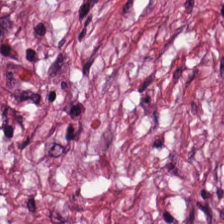Histology → desmoplastic stroma.
